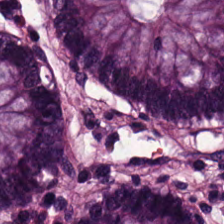Showing benign colonic mucosa.
